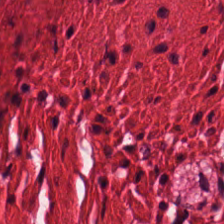Stain: hematoxylin-and-eosin stained section.
Tissue class: muscularis.
